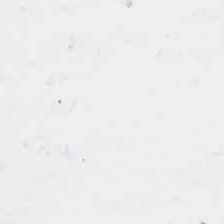Hematoxylin-and-eosin stained section.
Empty field — no tissue.
